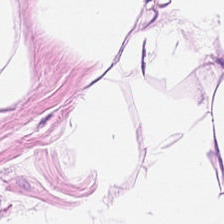Tissue = adipose.
